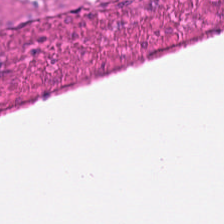H&E-stained section; the field shows smooth-muscle tissue.
